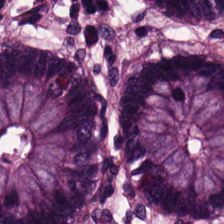224×224 px patch. H&E stain — Tissue — benign colonic mucosa.
